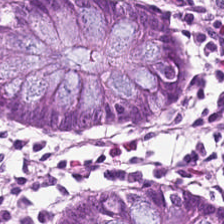Stain: H&E.
Tissue class: benign colonic mucosa.
